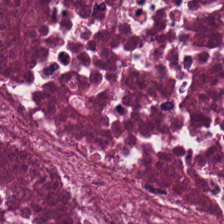Stain: hematoxylin and eosin.
Classification: necrotic debris.
